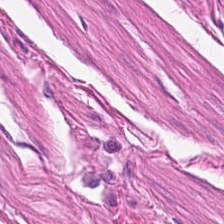224×224 px patch; H&E stain. Q: What is the predominant tissue type?
A: This is smooth-muscle tissue.
